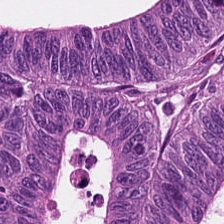Predominantly adenocarcinoma.
